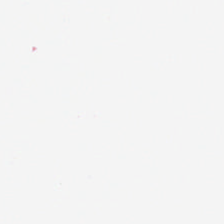H&E.
Q: Classify this patch.
A: It is no tissue.
